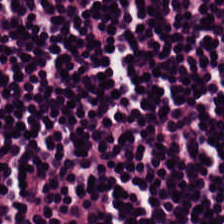Stain: H&E-stained tissue section.
Acquisition: whole-slide-image patch.
Resolution: 0.5 microns per pixel.
Tissue class: lymphoid infiltrate.
